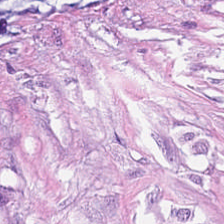0.5 µm/px · H&E · 224×224 px tile — Predominantly desmoplastic stroma.
